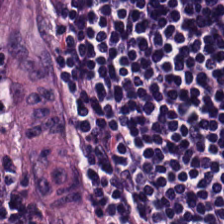The tissue here is lymphocytes.
